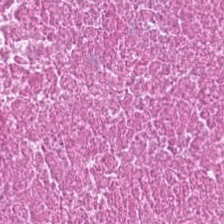H&E stain.
Q: Identify the tissue.
A: It is necrotic debris.
